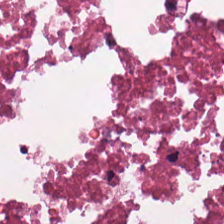Brightfield · 224×224 pixel tile · H&E-stained tissue section — Q: What is shown in this field?
A: This is cellular debris.
